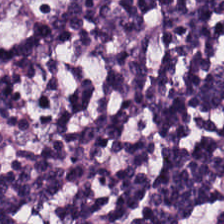FFPE tissue section · H&E stain.
Q: What is the predominant tissue type?
A: It is lymphoid infiltrate.
